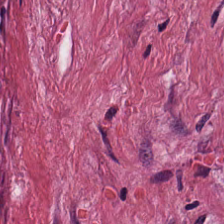H&E-stained tissue section · 0.5 µm/px — Predominantly desmoplastic stroma.
